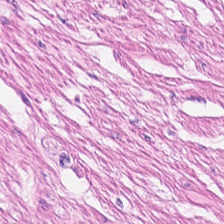H&E stain. Whole-slide-image patch. 224×224 pixel tile. Q: What is shown in this field?
A: Smooth-muscle tissue.
